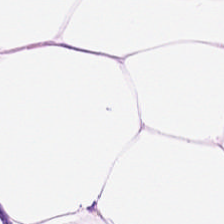Stain: H&E stain.
Preparation: FFPE.
Resolution: 20× equivalent magnification.
Tissue type: fat tissue.
